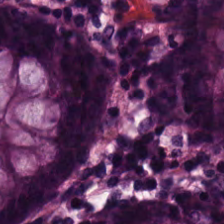Hematoxylin and eosin. This field is non-neoplastic colon mucosa.
